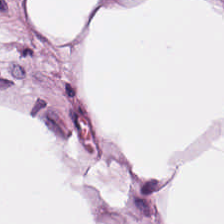Hematoxylin-and-eosin stained section; whole-slide-image patch; 224×224 pixel tile.
Adipose tissue.
